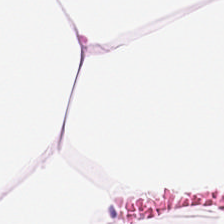Brightfield; hematoxylin-and-eosin stained section; FFPE tissue section.
Tissue class — adipocytes.
